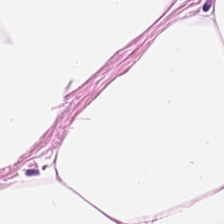H&E-stained tissue section. 0.5 µm per pixel — The predominant tissue is adipocytes.
